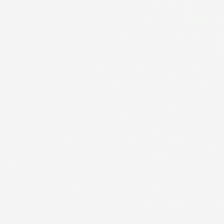Empty field — no tissue.
